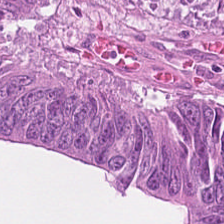H&E stain.
{"tissue_type": "malignant epithelium"}
